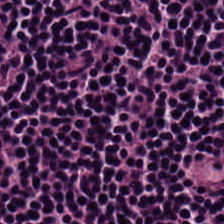Q: What tissue type is shown here?
A: Lymphocytic infiltrate.
